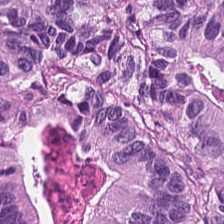H&E-stained tissue section.
This field is colorectal adenocarcinoma epithelium.
